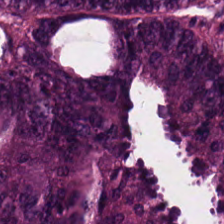Hematoxylin and eosin.
Q: What type of tissue is this?
A: The field shows colorectal adenocarcinoma epithelium.
